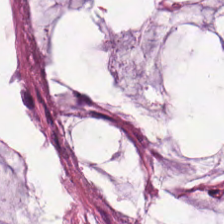20× equivalent magnification · H&E stain · 224×224 px patch — The tissue is mucin.
